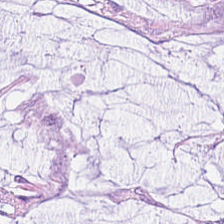H&E-stained tissue section · brightfield — Predominantly extracellular mucin.
